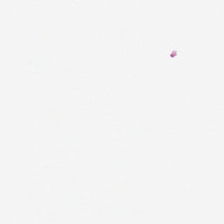Brightfield microscopy · H&E-stained tissue section.
{"content": "empty background"}
